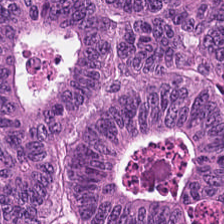Hematoxylin-and-eosin stained section — Finding → tumor epithelium.
